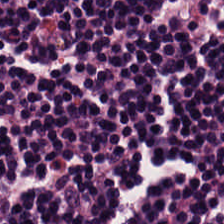H&E patch showing lymphoid infiltrate.
